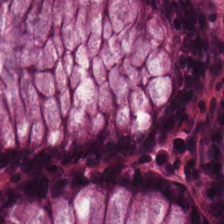H&E.
The tissue here is normal colonic mucosa.
